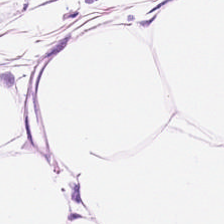H&E-stained tissue section · 224×224 px patch · 0.5 µm per pixel — The tissue class is fat tissue.
